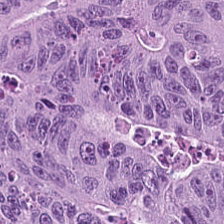H&E-stained section; the field shows tumor epithelium.
